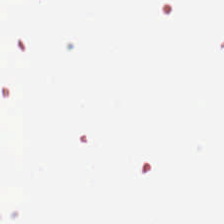Content = empty background.
